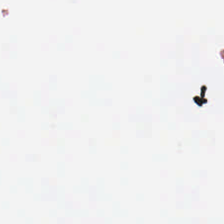H&E-stained tissue section. Empty field — empty background.
